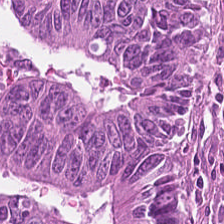The predominant tissue is colorectal adenocarcinoma epithelium.
